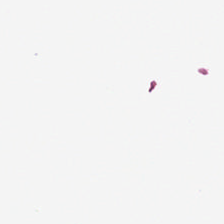Hematoxylin-and-eosin stained section — Content = background.
